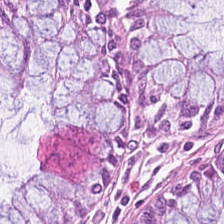H&E stain.
The predominant tissue is benign colonic mucosa.
